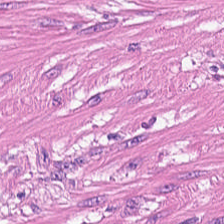Hematoxylin and eosin · 224×224 pixel tile — Showing smooth-muscle tissue.
